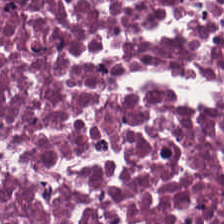The predominant tissue is necrotic debris.
